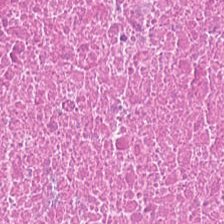This field is debris.
